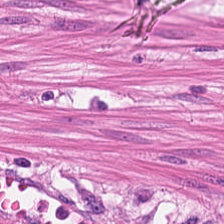Hematoxylin-and-eosin stained section · 224×224 px patch — This field is smooth muscle.
